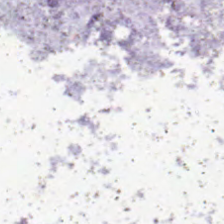Q: What is shown here?
A: The field shows background (no tissue).
